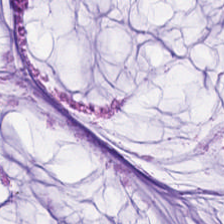Stain: hematoxylin and eosin.
Tile size: 224×224 px patch.
Acquisition: brightfield microscopy.
Tissue class: extracellular mucin.
